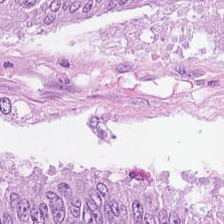WSI patch. H&E stain. The predominant tissue is colorectal adenocarcinoma.
